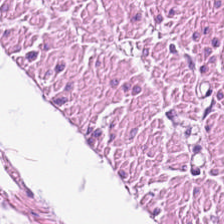Stain: H&E stain.
Tissue: smooth-muscle tissue.
